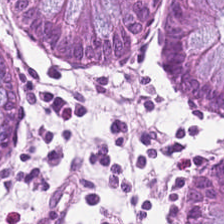FFPE tissue section; H&E stain — This patch shows non-neoplastic colon mucosa.
